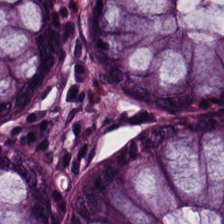Impression → benign colonic mucosa.
